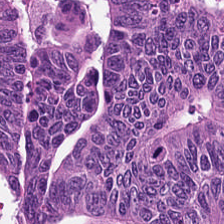H&E-stained tissue section. Whole-slide-image patch. The predominant tissue is tumor epithelium.
